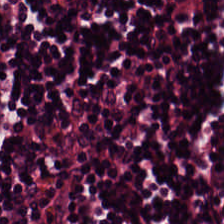Q: Classify this patch.
A: It is lymphoid infiltrate.
